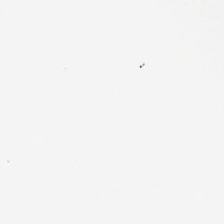Q: Classify this patch.
A: This is background (no tissue).
